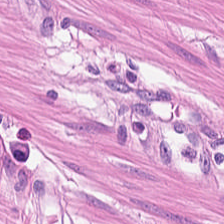Stain: hematoxylin and eosin.
Predominant tissue: smooth muscle.
